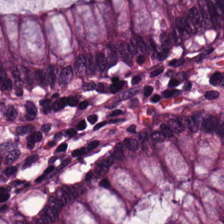Stain: H&E stain.
Tissue class: benign colonic mucosa.
